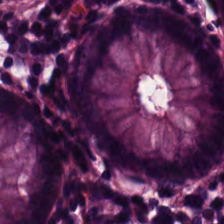Stain: H&E.
Tissue class: normal colonic mucosa.
